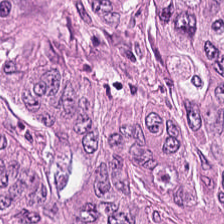This patch shows colorectal adenocarcinoma.
